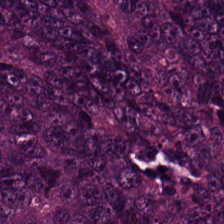H&E-stained tissue section. Showing colorectal adenocarcinoma.
